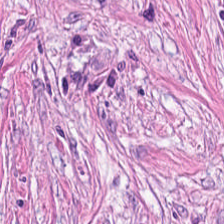H&E-stained tissue section; 20× equivalent magnification.
The classification is desmoplastic stroma.
